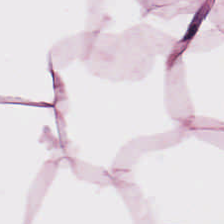Stain: H&E stain.
Tissue class: fat tissue.
